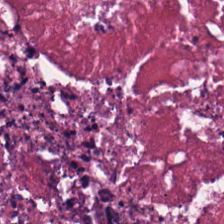H&E stain; formalin-fixed paraffin-embedded section. This patch shows debris.
